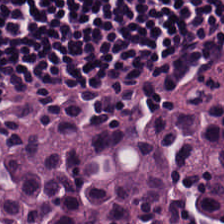FFPE tissue section · H&E.
Tissue type: lymphocytes.
